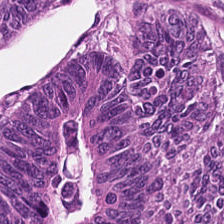Hematoxylin-and-eosin stained section — This patch shows colorectal adenocarcinoma.
